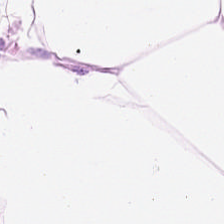H&E. Q: Classify this patch.
A: The field shows adipocytes.
